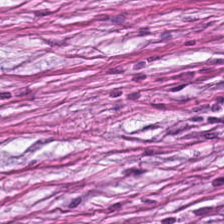Hematoxylin-and-eosin stained section — {"tissue_type": "tumor-associated stroma"}
